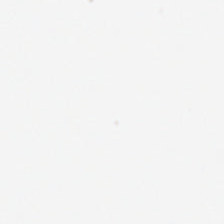No tissue present; background only.
